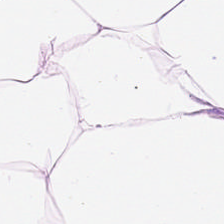Brightfield microscopy. 224×224 pixel tile. H&E.
The tissue type is adipose.
